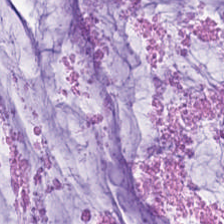Stain: H&E.
Resolution: 0.5 µm/px.
Tile size: 224×224 px tile.
Classification: extracellular mucin.
